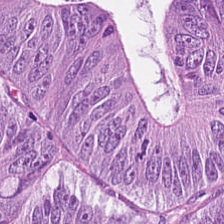224×224 pixel tile; H&E-stained tissue section; WSI patch — Q: What is the predominant tissue type?
A: This is adenocarcinoma.
